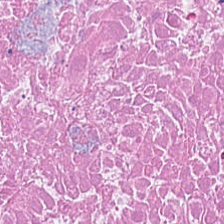H&E.
The tissue here is debris.
